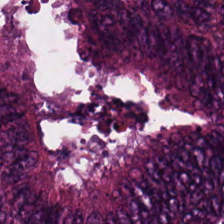Hematoxylin-and-eosin stained section — Tissue = colorectal adenocarcinoma.
